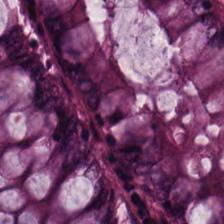Hematoxylin-and-eosin stained section — Q: Identify the tissue.
A: This is normal colon mucosa.
